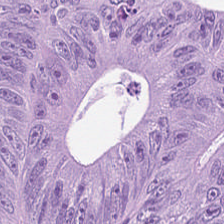Colorectal adenocarcinoma.
